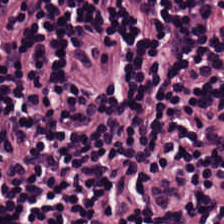Tissue type: lymphocyte aggregate.
